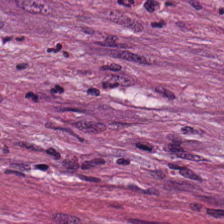This field is tumor-associated stroma.
